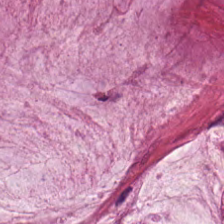H&E stain; 224×224 pixel tile; brightfield — Q: What is the predominant tissue type?
A: This is mucus.
